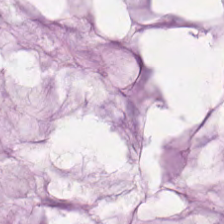Hematoxylin and eosin — The tissue is mucus.
